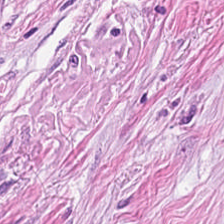Hematoxylin-and-eosin stained section — Q: What is the predominant tissue type?
A: Tumor stroma.
